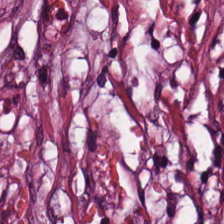Hematoxylin and eosin. Tissue — cancer-associated stroma.
